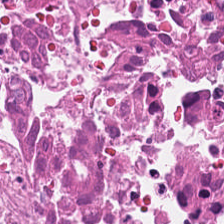FFPE tissue section. Hematoxylin-and-eosin stained section — Q: Identify the tissue.
A: It is cellular debris.
